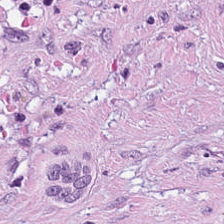The predominant tissue is tumor stroma.
